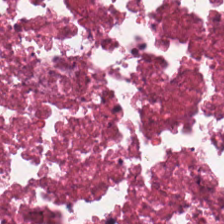Stain: H&E-stained tissue section.
Resolution: 20× equivalent magnification.
Tile size: 224×224 pixel tile.
Predominant tissue: necrotic debris.
